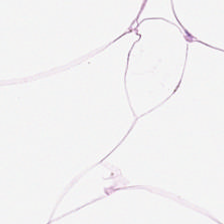Fat tissue.
